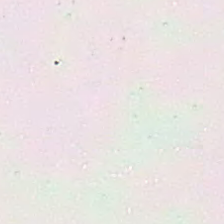Stain: H&E.
Content: background.
